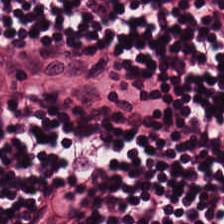H&E stain.
The tissue here is lymphocytic infiltrate.
